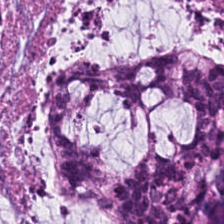WSI patch. H&E-stained tissue section.
Tissue type — extracellular mucin.
